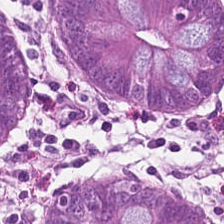Stain: H&E stain.
Tissue class: normal colonic mucosa.
